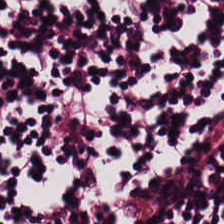Stain: H&E stain.
Classification: lymphoid infiltrate.
